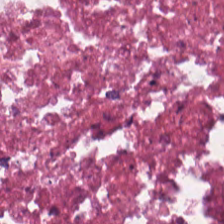H&E — Classification: cellular debris.
